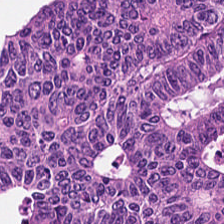Formalin-fixed paraffin-embedded section · 224×224 px tile · hematoxylin-and-eosin stained section — Classification = colorectal adenocarcinoma epithelium.
